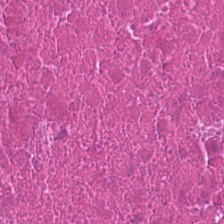H&E stain — Q: What is shown here?
A: This is necrotic debris.
